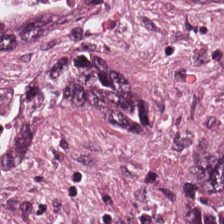0.5 µm/px · hematoxylin and eosin. Adenocarcinoma.
